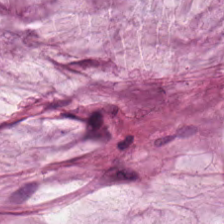Stain: H&E-stained tissue section.
Acquisition: whole-slide-image patch.
Predominant tissue: extracellular mucin.
